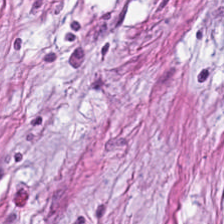FFPE tissue section; H&E stain — Tissue = cancer-associated stroma.
